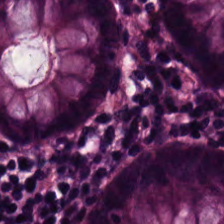Showing benign colonic mucosa.
